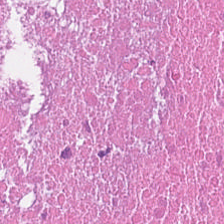H&E; brightfield — Tissue: necrotic debris.
